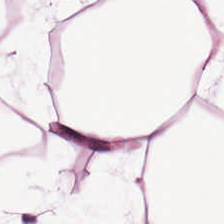224×224 px patch; hematoxylin-and-eosin stained section. Histology → adipocytes.
